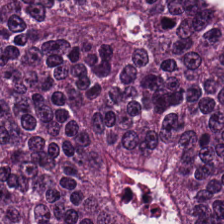H&E.
Q: Classify this patch.
A: This is adenocarcinoma.
